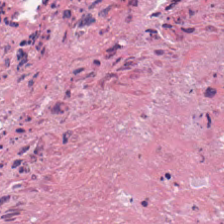H&E-stained tissue section; brightfield microscopy; 0.5 µm per pixel — Tissue type: necrotic debris.
